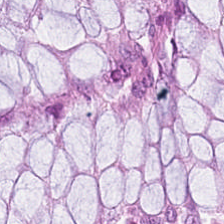H&E stain. Brightfield.
Predominantly normal colon mucosa.
